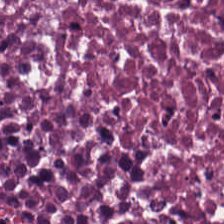Formalin-fixed paraffin-embedded section · H&E-stained tissue section. Histology — necrotic debris.
